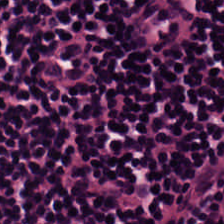Hematoxylin and eosin — Impression → lymphocyte aggregate.
